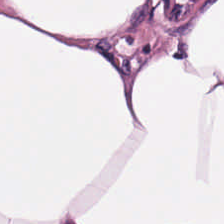Brightfield. Formalin-fixed paraffin-embedded section. H&E stain. Showing adipose.
